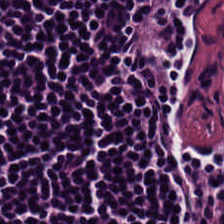Impression → lymphocytic infiltrate.
